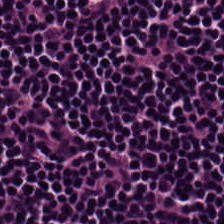Predominantly lymphocytic infiltrate.
